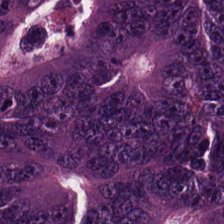0.5 µm per pixel · hematoxylin-and-eosin stained section.
Q: What is shown in this field?
A: This is colorectal adenocarcinoma.
